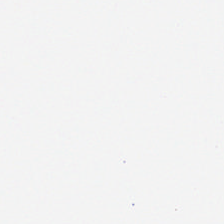Hematoxylin-and-eosin stained section — Q: What does this patch show?
A: It is background (no tissue).
